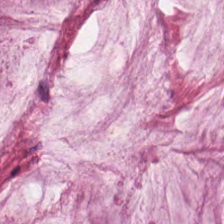Stain: hematoxylin-and-eosin stained section.
Predominant tissue: mucin.
